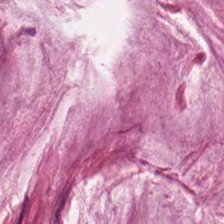Finding → mucus.
